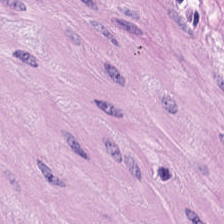The tissue type is smooth-muscle tissue.
